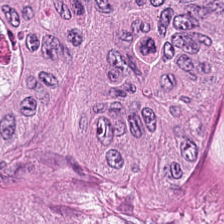224×224 px patch; hematoxylin and eosin — Tissue: adenocarcinoma.
